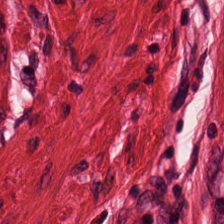H&E patch showing smooth muscle.
